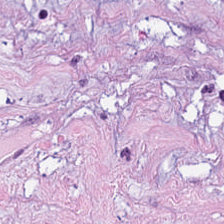Stain: hematoxylin and eosin.
Tissue type: desmoplastic stroma.
